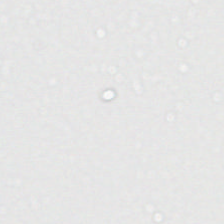This field is background (no tissue).
